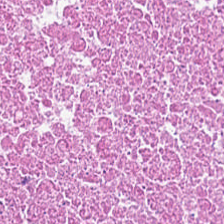H&E · 224×224 px tile · FFPE.
Impression → cellular debris.
